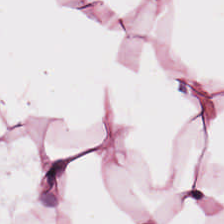Tissue: fat tissue.
